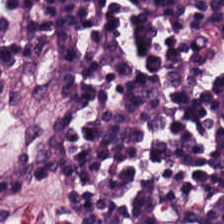Hematoxylin-and-eosin stained section.
Lymphocytes.
